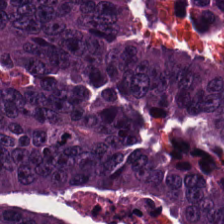Hematoxylin and eosin — Impression — colorectal adenocarcinoma epithelium.
